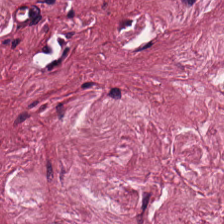20× equivalent magnification · WSI patch · H&E stain. This patch shows desmoplastic stroma.
